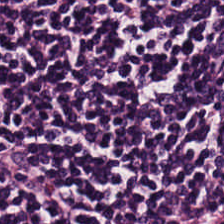0.5 microns per pixel; hematoxylin and eosin; FFPE — Q: Classify this patch.
A: Lymphocytes.
